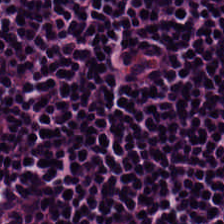H&E-stained tissue section.
Showing lymphocytes.
